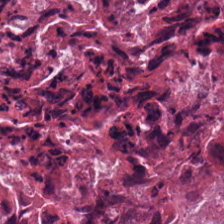Hematoxylin and eosin. This field is debris.
